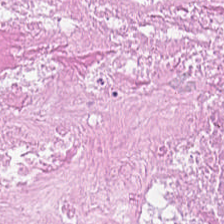Q: What is shown in this field?
A: It is cellular debris.
